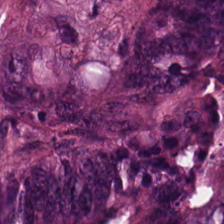Hematoxylin and eosin. 224×224 px patch — Classification: malignant epithelium.
